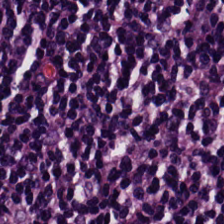Hematoxylin and eosin — {"tissue_type": "lymphoid infiltrate"}
